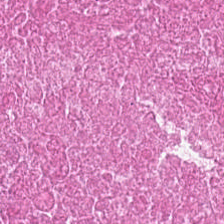Stain: hematoxylin and eosin.
Acquisition: whole-slide-image patch.
Preparation: formalin-fixed paraffin-embedded section.
Classification: cellular debris.
